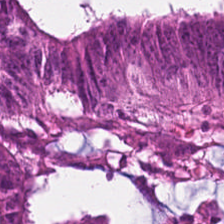FFPE. H&E-stained tissue section. Brightfield.
The tissue here is tumor epithelium.
